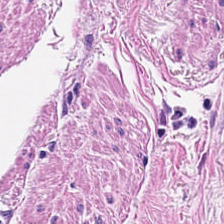H&E stain.
Showing muscularis.
